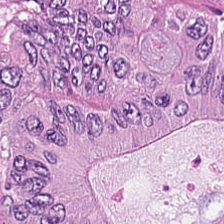Hematoxylin-and-eosin stained section — Tissue class — colorectal adenocarcinoma.
